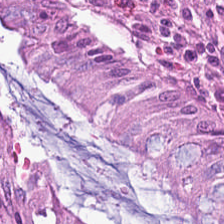Stain: H&E stain.
Tile size: 224×224 pixel tile.
Tissue type: non-neoplastic colon mucosa.
